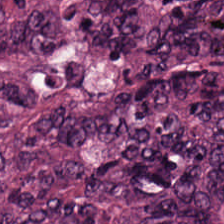WSI patch; hematoxylin and eosin; 224×224 px patch. Histology — colorectal adenocarcinoma epithelium.
